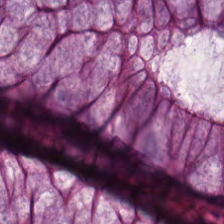H&E-stained tissue section.
Q: Identify the tissue.
A: This is non-neoplastic colon mucosa.
